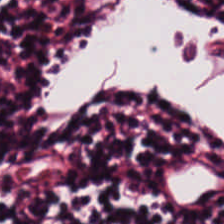Brightfield microscopy. Hematoxylin and eosin. Lymphocyte aggregate.
